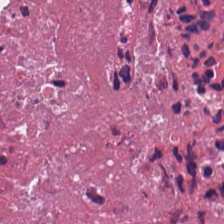Hematoxylin and eosin. The predominant tissue is cellular debris.
